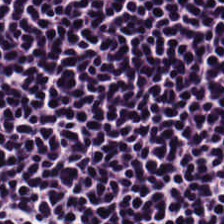Q: What is shown in this field?
A: The field shows lymphocytic infiltrate.
